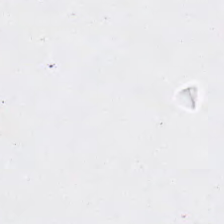Hematoxylin and eosin — Empty field — background.
